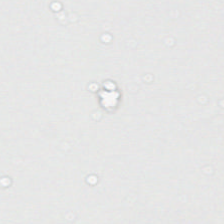Hematoxylin-and-eosin stained section.
Background — no tissue in this field.
